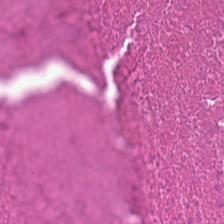WSI patch; formalin-fixed paraffin-embedded section; H&E. Predominantly necrotic debris.
